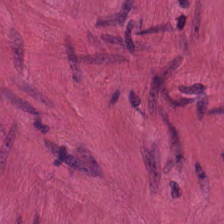H&E-stained tissue section — Showing muscularis.
